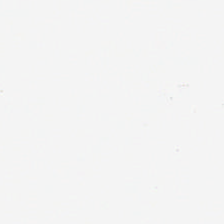Histology → background.
